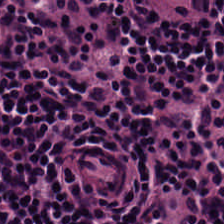Formalin-fixed paraffin-embedded section · H&E — Predominant tissue = lymphocytes.
